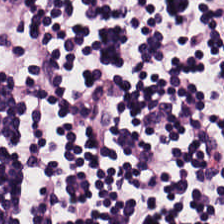Hematoxylin and eosin.
Predominant tissue — lymphocytic infiltrate.
